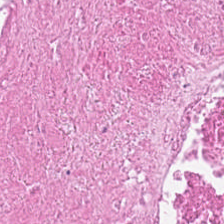224×224 px tile. H&E. Formalin-fixed paraffin-embedded section — Q: Classify this patch.
A: This is cellular debris.
